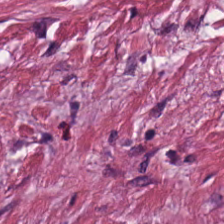Hematoxylin and eosin · formalin-fixed paraffin-embedded section. Tissue: cancer-associated stroma.
